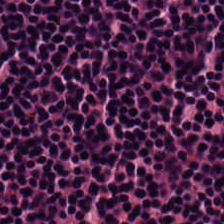Hematoxylin-and-eosin stained section. 224×224 pixel tile.
The tissue here is lymphoid infiltrate.
